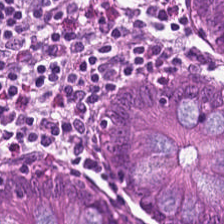0.5 microns per pixel; H&E stain.
The tissue here is non-neoplastic colon mucosa.
